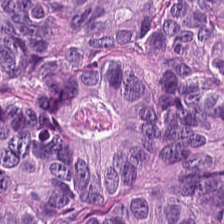Classification = colorectal adenocarcinoma epithelium.
